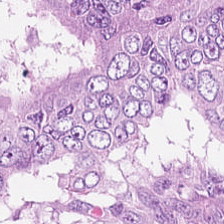Hematoxylin-and-eosin stained section — Classification = malignant epithelium.
